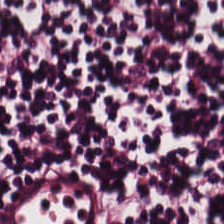H&E-stained tissue section — Histology → lymphocytes.
